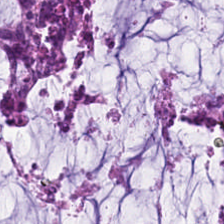Formalin-fixed paraffin-embedded section; brightfield microscopy; H&E stain.
Q: What is the predominant tissue type?
A: The field shows mucin.
